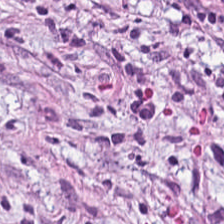Hematoxylin and eosin · 0.5 µm/px — Predominant tissue = tumor stroma.
